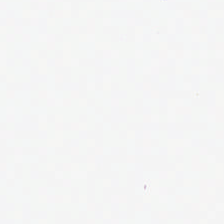The classification is background.
